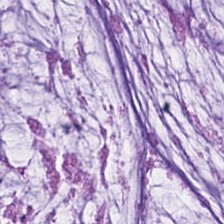Stain: H&E stain.
Preparation: FFPE.
Resolution: 0.5 µm/px.
Tissue type: mucus.
